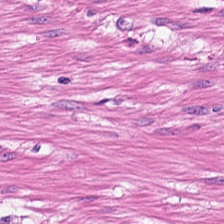Finding — muscularis.
